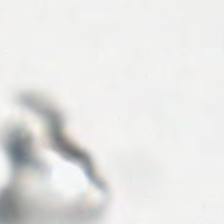H&E-stained tissue section.
Impression → no tissue.
